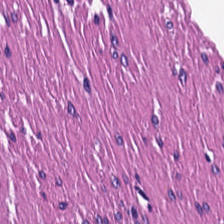Tissue: muscularis.
